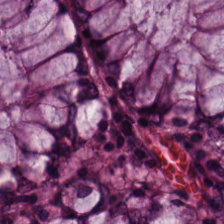Hematoxylin and eosin. 224×224 px tile. FFPE. Finding → normal colonic mucosa.
